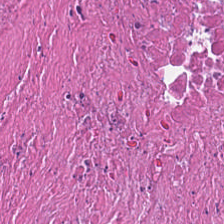Predominantly cellular debris.
